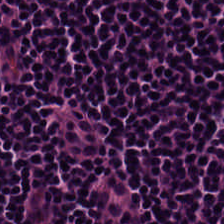H&E-stained tissue section showing lymphocytes.
